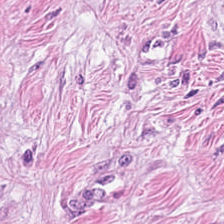Brightfield microscopy. Hematoxylin and eosin — Tissue = desmoplastic stroma.
